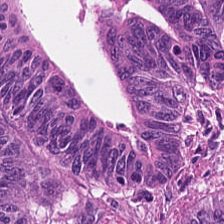H&E stain. Showing colorectal adenocarcinoma epithelium.
